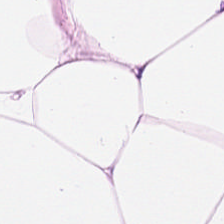The predominant tissue is adipose tissue.
